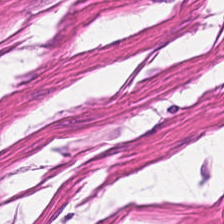The tissue is muscularis.
